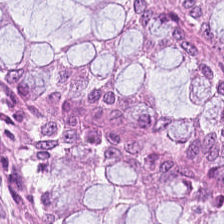H&E; 0.5 µm per pixel. The classification is non-neoplastic colon mucosa.
